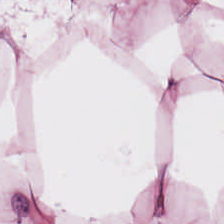Q: What type of tissue is this?
A: This is adipocytes.
